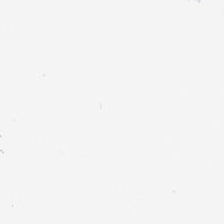Hematoxylin and eosin. Impression — background (no tissue).
